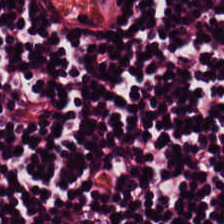H&E.
Classification — lymphocyte aggregate.
